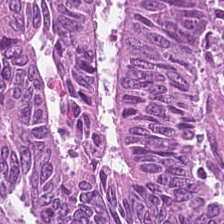Stain: hematoxylin-and-eosin stained section.
Classification: malignant epithelium.
